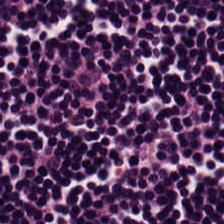H&E — Classification: lymphocyte aggregate.
